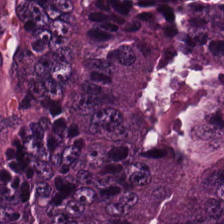Hematoxylin and eosin — The tissue here is adenocarcinoma.
